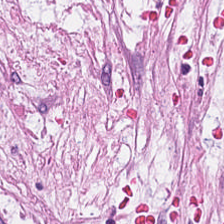Hematoxylin-and-eosin stained section — The tissue here is cancer-associated stroma.
